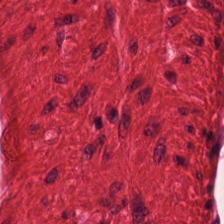H&E stain · FFPE · 0.5 microns per pixel — Q: What tissue is shown?
A: The field shows muscularis.
